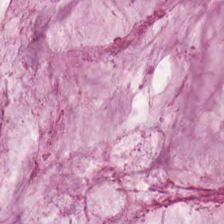Stain: H&E-stained tissue section.
Tissue: extracellular mucin.
